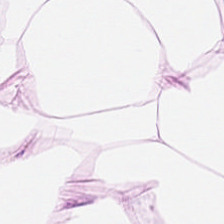Stain: H&E.
Resolution: 0.5 µm per pixel.
Preparation: FFPE tissue section.
Tissue class: adipose.
